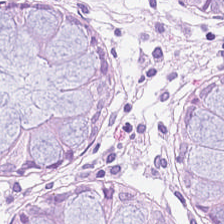0.5 µm/px. H&E stain — Q: What type of tissue is this?
A: This is non-neoplastic colon mucosa.
